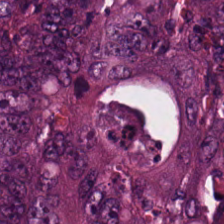Stain: H&E-stained tissue section.
Tissue class: colorectal adenocarcinoma.
